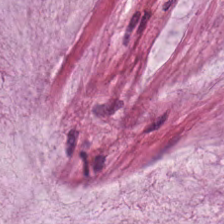Stain: H&E stain.
Resolution: 0.5 µm per pixel.
Tissue type: mucus.
